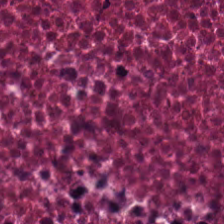Tissue — necrotic debris.
